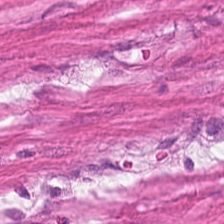H&E · FFPE.
Finding → smooth muscle.
